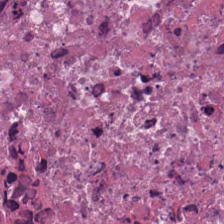FFPE tissue section; hematoxylin-and-eosin stained section; 0.5 µm/px.
Predominantly necrotic debris.
